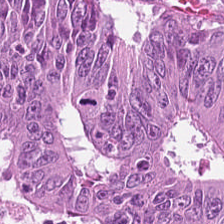Hematoxylin-and-eosin section: tumor epithelium.
